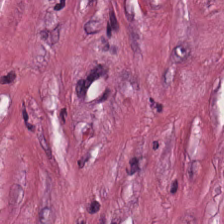0.5 microns per pixel. H&E stain — Histology — tumor-associated stroma.
